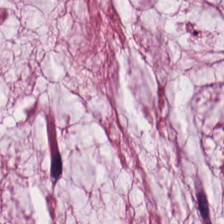H&E stain.
Showing mucin.
